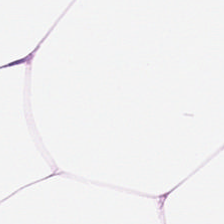Hematoxylin-and-eosin stained section. 0.5 µm/px.
Adipose.
